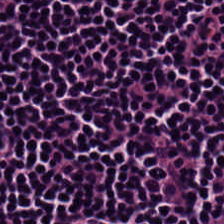H&E stain · 224×224 px tile.
Lymphoid infiltrate.
